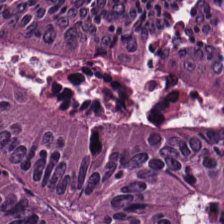H&E stain — This patch shows tumor epithelium.
